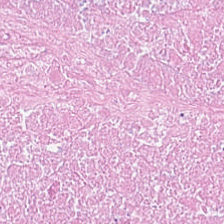Q: Identify the tissue.
A: The field shows necrotic debris.
